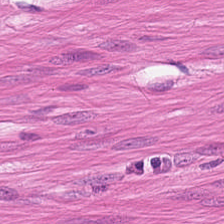Hematoxylin and eosin — The classification is muscularis.
